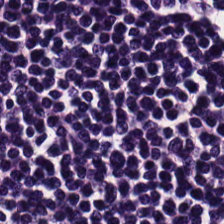Lymphocytes.
